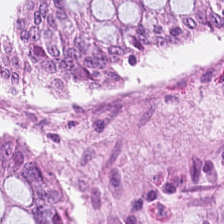Stain: H&E stain.
Predominant tissue: non-neoplastic colon mucosa.
